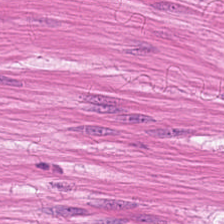H&E patch showing smooth muscle.
